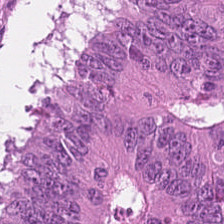This field is malignant epithelium.
